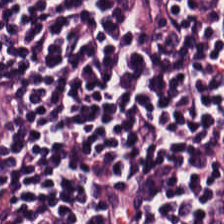H&E stain.
Q: What is shown in this field?
A: This is lymphoid infiltrate.
